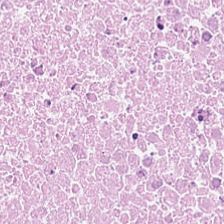H&E. This patch shows cellular debris.
